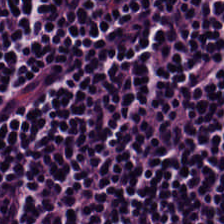H&E — lymphocytes.
